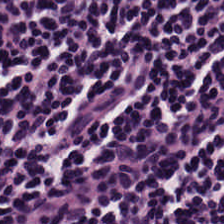H&E-stained tissue section · 20× equivalent magnification — Lymphoid infiltrate.
